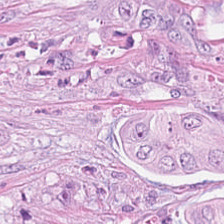H&E. Showing malignant epithelium.
